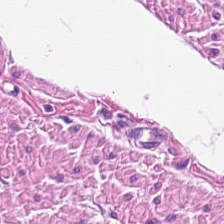0.5 microns per pixel · H&E. Predominant tissue: smooth muscle.
